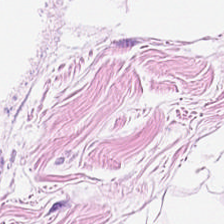H&E. The tissue type is adipose.
